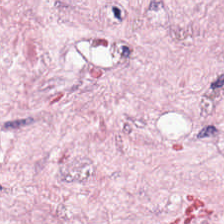H&E — tumor stroma.
